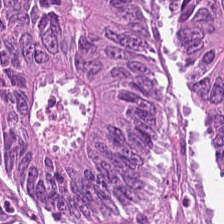H&E stain. 224×224 pixel tile. This field is malignant epithelium.
